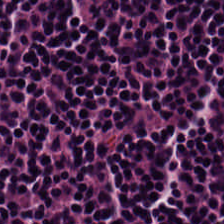Tissue: lymphocyte aggregate.
